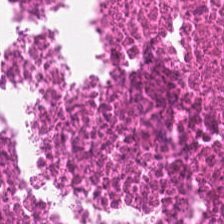H&E stain — This patch shows necrotic debris.
